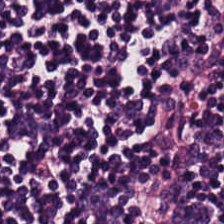The tissue class is lymphocyte aggregate.
